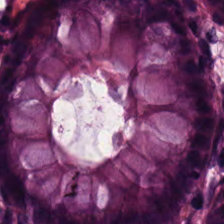Hematoxylin and eosin · 0.5 µm per pixel. The predominant tissue is normal colonic mucosa.
